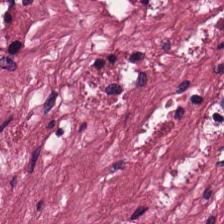H&E stain. 224×224 pixel tile. Brightfield microscopy.
Finding — tumor stroma.
